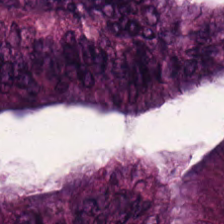Hematoxylin-and-eosin stained section. Q: Classify this patch.
A: It is colorectal adenocarcinoma epithelium.
